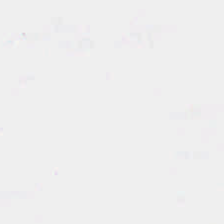Stain: hematoxylin and eosin.
Field content: empty background.
